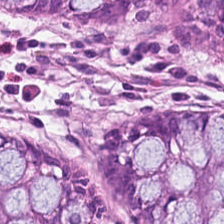Classification: normal colonic mucosa.
